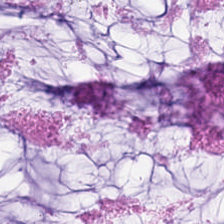Whole-slide-image patch; hematoxylin and eosin.
Showing extracellular mucin.
